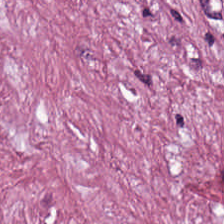H&E. The tissue here is desmoplastic stroma.
